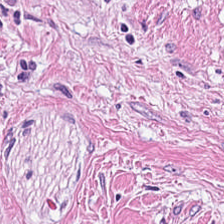Stain: H&E-stained tissue section.
Acquisition: brightfield.
Tissue class: tumor stroma.
